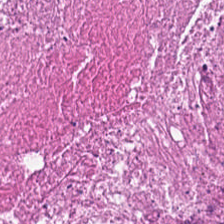Impression — cellular debris.
